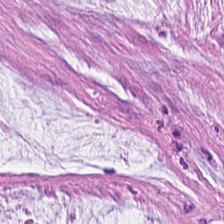Impression → mucus.
